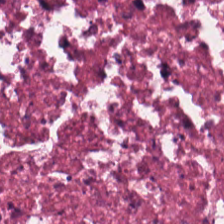H&E-stained tissue section. 224×224 px tile.
The predominant tissue is necrotic debris.
